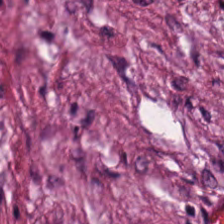FFPE; hematoxylin-and-eosin stained section. {"tissue_type": "tumor-associated stroma"}
